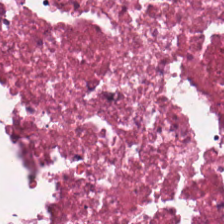Hematoxylin-and-eosin stained section. This field is necrotic debris.
